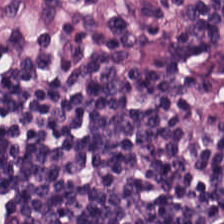0.5 µm/px; H&E stain. Finding → lymphocytes.
